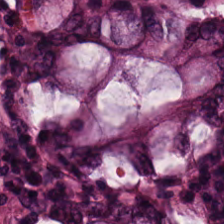H&E.
Predominantly normal colonic mucosa.
